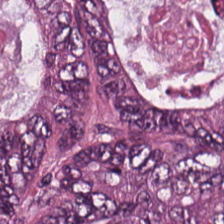Formalin-fixed paraffin-embedded section · hematoxylin-and-eosin stained section. This patch shows colorectal adenocarcinoma.
